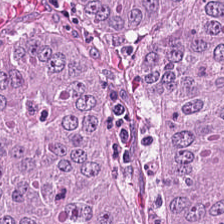Hematoxylin and eosin; brightfield microscopy — Q: What type of tissue is this?
A: Tumor epithelium.
